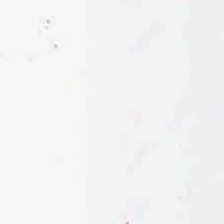FFPE tissue section. H&E. Q: Classify this patch.
A: Background.
